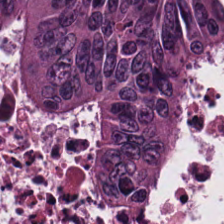{"tissue_type": "colorectal adenocarcinoma epithelium"}
